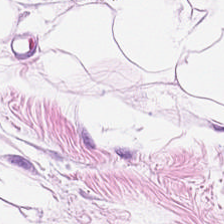Impression → adipose.
